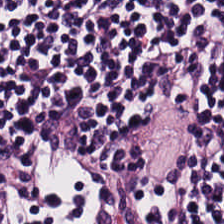WSI patch. H&E. Histology — lymphoid infiltrate.
